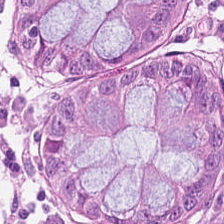H&E-stained tissue section. Histology — benign colonic mucosa.
